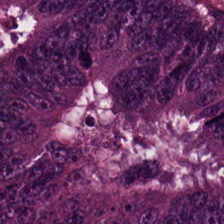H&E. 0.5 µm/px. 224×224 px patch. Classification = colorectal adenocarcinoma epithelium.
